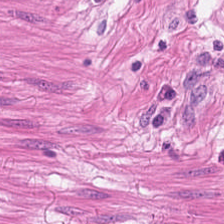H&E.
Q: What type of tissue is this?
A: This is smooth-muscle tissue.
